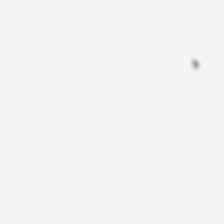Stain: hematoxylin and eosin.
Classification: empty background.
